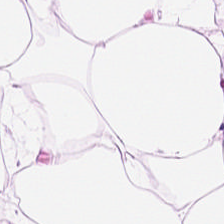Hematoxylin-and-eosin stained section.
Finding — adipose tissue.
